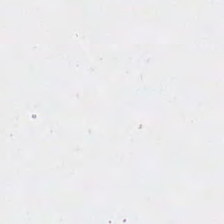H&E-stained tissue section.
No tissue present; background only.
